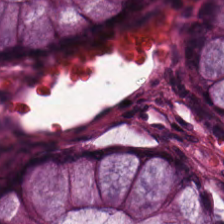224×224 px patch · H&E stain. The predominant tissue is normal colon mucosa.
